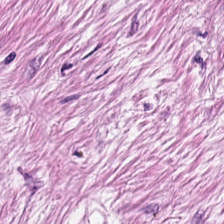FFPE tissue section. Hematoxylin and eosin. Impression — tumor stroma.
